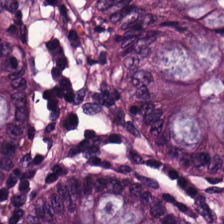20× equivalent magnification. H&E.
The tissue here is normal colonic mucosa.
